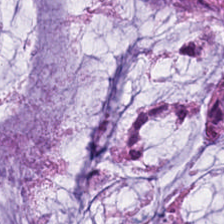Q: What is the predominant tissue type?
A: The field shows mucin.
